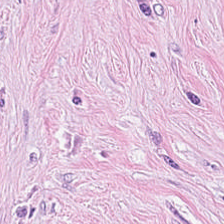Hematoxylin-and-eosin stained section.
Tissue type — cancer-associated stroma.
